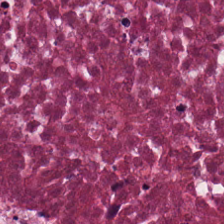Brightfield · 20× equivalent magnification · H&E — {"tissue_type": "cellular debris"}
